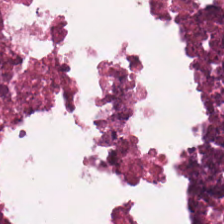H&E · 0.5 microns per pixel.
The tissue class is debris.
